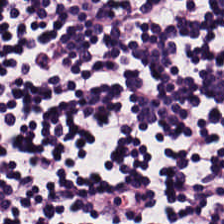The predominant tissue is lymphocytes.
